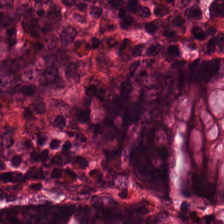Hematoxylin and eosin.
Q: What is shown here?
A: This is normal colonic mucosa.
